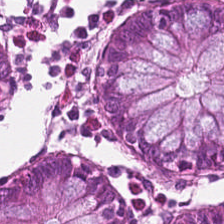20× equivalent magnification; FFPE tissue section; H&E-stained tissue section.
Q: What is the predominant tissue type?
A: The field shows benign colonic mucosa.
